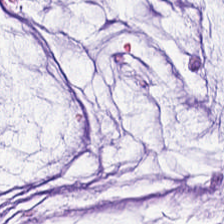H&E-stained tissue section showing mucin.
